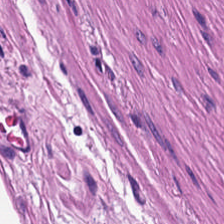Hematoxylin and eosin. 224×224 px patch — This patch shows muscularis.
